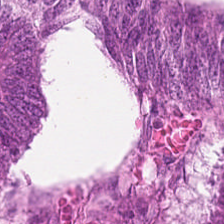H&E · brightfield microscopy. Tissue type: malignant epithelium.
